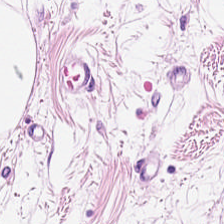Stain: hematoxylin and eosin.
Classification: adipose tissue.
